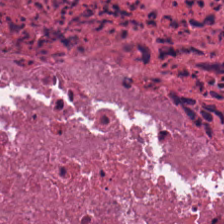Hematoxylin-and-eosin stained section.
Finding — necrotic debris.
